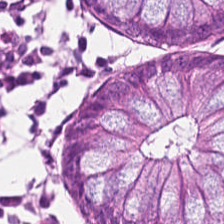H&E stain; 224×224 px tile — Showing normal colon mucosa.
